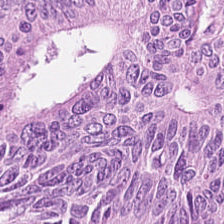H&E — {"tissue_type": "malignant epithelium"}
